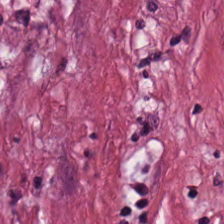FFPE tissue section. Hematoxylin and eosin — Showing tumor stroma.
